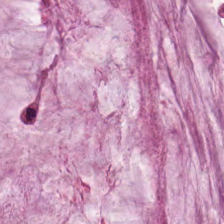Stain: H&E.
Predominant tissue: mucus.
